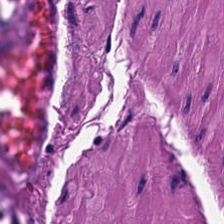Q: What tissue is shown?
A: It is muscularis.
